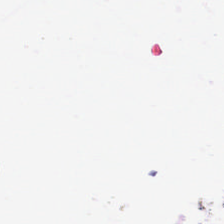224×224 pixel tile; hematoxylin and eosin — Histology — background (no tissue).
